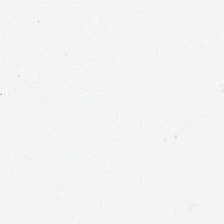Stain: H&E.
Classification: no tissue.
